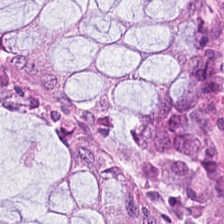Hematoxylin-and-eosin stained section. Q: Identify the tissue.
A: This is non-neoplastic colon mucosa.
